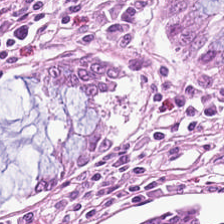WSI patch; H&E — Normal colon mucosa.
